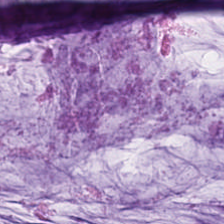H&E stain · 0.5 µm per pixel · brightfield microscopy. The predominant tissue is mucin.
